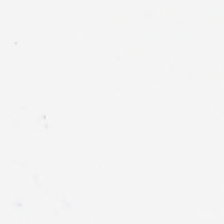Hematoxylin-and-eosin stained section — Histology → background.
